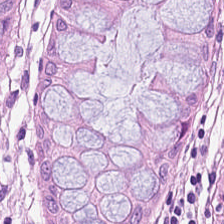0.5 µm per pixel. H&E-stained tissue section. WSI patch — {"tissue_type": "benign colonic mucosa"}
